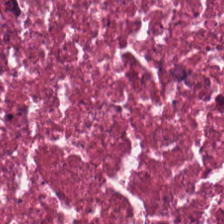Whole-slide-image patch · H&E-stained tissue section. This field is necrotic debris.
